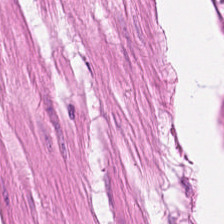Hematoxylin-and-eosin section: smooth-muscle tissue.
